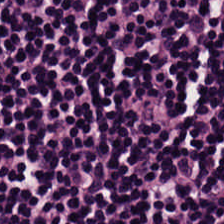0.5 µm per pixel; 224×224 pixel tile; hematoxylin-and-eosin stained section.
Finding — lymphocytic infiltrate.
